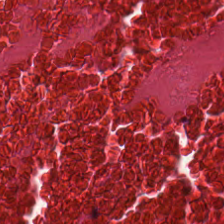224×224 px patch · H&E stain.
Predominant tissue — necrotic debris.
